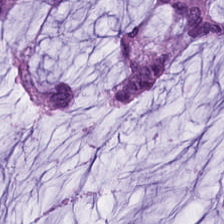Stain: H&E-stained tissue section.
Classification: extracellular mucin.
